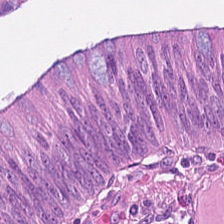{"tissue_type": "adenocarcinoma"}
